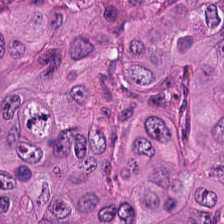Stain: hematoxylin-and-eosin stained section.
Acquisition: brightfield.
Classification: malignant epithelium.
